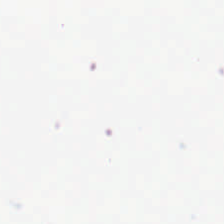Histology → empty background.
